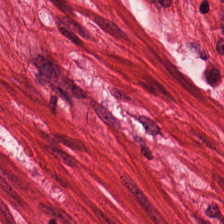Tissue — muscularis.
